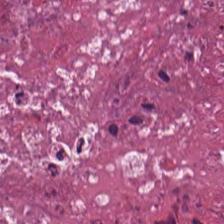H&E stain. Whole-slide-image patch.
The tissue is debris.
